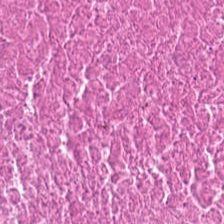Hematoxylin-and-eosin stained section — Predominant tissue — debris.
